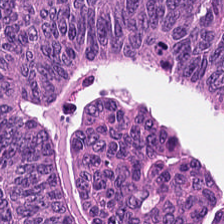Stain: H&E stain.
Tile size: 224×224 px patch.
Preparation: FFPE tissue section.
Tissue: colorectal adenocarcinoma.
